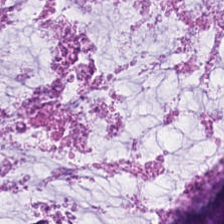Hematoxylin-and-eosin stained section · brightfield microscopy · 224×224 pixel tile — The predominant tissue is mucus.
